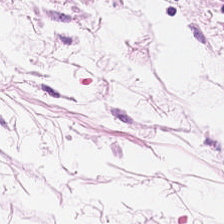H&E stain; formalin-fixed paraffin-embedded section.
Adipose.
